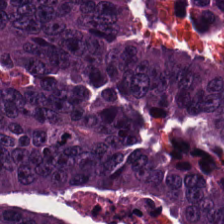H&E. Malignant epithelium.
